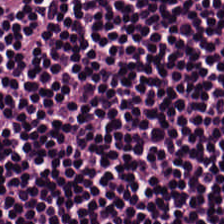Hematoxylin and eosin; whole-slide-image patch. Showing lymphoid infiltrate.
